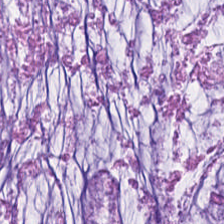FFPE tissue section; H&E stain; 20× equivalent magnification.
This field is mucus.
